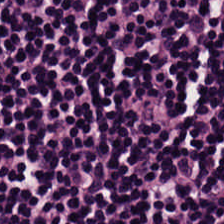This field is lymphocytes.
